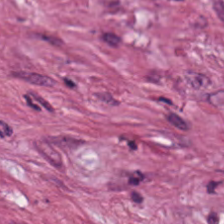H&E-stained tissue section. FFPE.
The tissue type is tumor-associated stroma.
